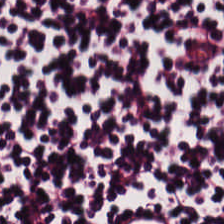Whole-slide-image patch. Hematoxylin and eosin.
Tissue = lymphocytic infiltrate.
